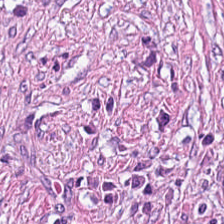H&E-stained tissue section.
The predominant tissue is desmoplastic stroma.
